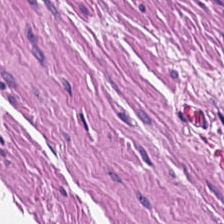20× equivalent magnification; H&E. The predominant tissue is smooth muscle.
